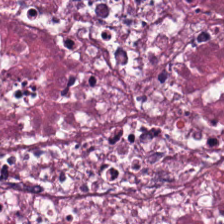Q: What tissue is shown?
A: This is cellular debris.
